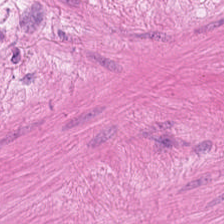Stain: H&E-stained tissue section.
Tissue: smooth-muscle tissue.
